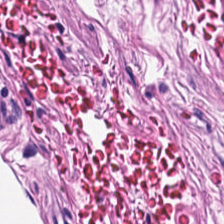H&E stain · 0.5 microns per pixel · brightfield — The predominant tissue is muscularis.
